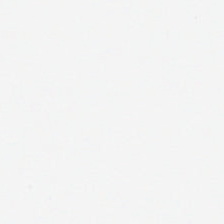H&E stain.
Content: empty background.
